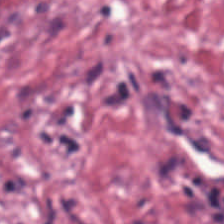Finding → tumor stroma.
